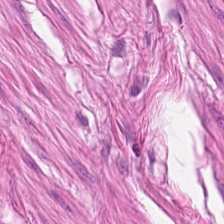H&E-stained tissue section. 0.5 µm/px. The tissue type is smooth-muscle tissue.
